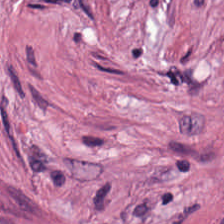Hematoxylin and eosin. Q: What is the predominant tissue type?
A: It is cancer-associated stroma.
